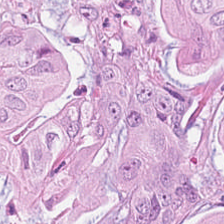H&E stain — Predominant tissue = malignant epithelium.
